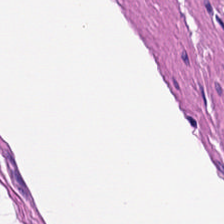H&E stain · brightfield microscopy.
Q: What does this patch show?
A: Smooth muscle.
